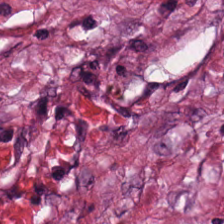H&E. Q: What does this patch show?
A: It is desmoplastic stroma.
